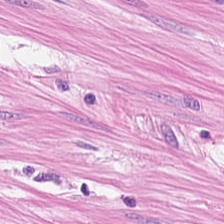H&E.
The predominant tissue is smooth-muscle tissue.
